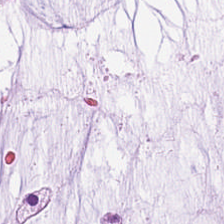Hematoxylin and eosin. This field is mucus.
